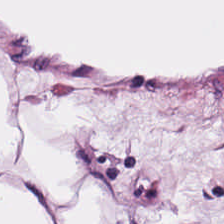H&E-stained tissue section. The classification is fat tissue.
